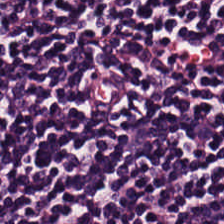Whole-slide-image patch; H&E stain — Tissue = lymphocyte aggregate.
